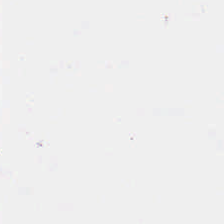FFPE tissue section · 224×224 px patch · hematoxylin and eosin.
No tissue present; background only.
